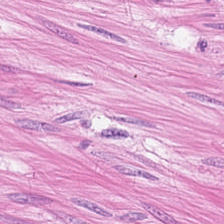Tissue class = muscularis.
